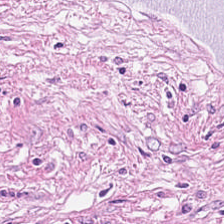H&E. The predominant tissue is tumor-associated stroma.
